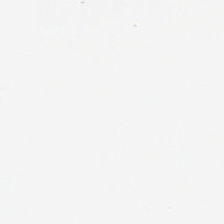No tissue present; background only.
